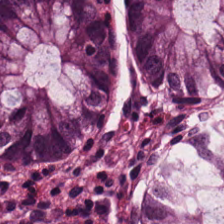H&E-stained tissue section — This field is benign colonic mucosa.
